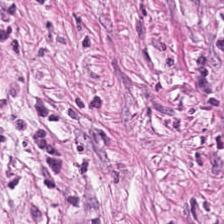H&E-stained tissue section. 20× equivalent magnification. FFPE.
The tissue is cancer-associated stroma.
